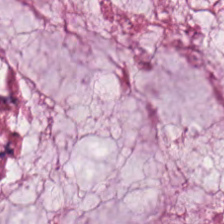H&E-stained tissue section. This patch shows mucus.
